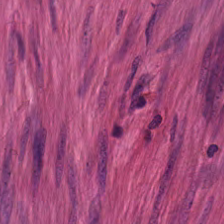H&E stain. The tissue type is muscularis.
